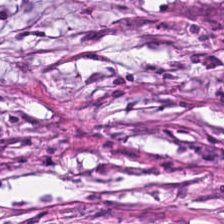Stain: H&E stain.
Predominant tissue: tumor-associated stroma.
